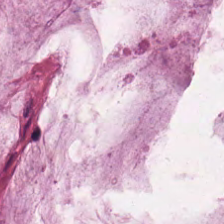Stain: hematoxylin-and-eosin stained section.
Tile size: 224×224 px tile.
Resolution: 0.5 microns per pixel.
Tissue: mucin.
